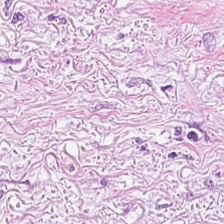Hematoxylin and eosin. Brightfield. 0.5 microns per pixel — This field is cancer-associated stroma.
